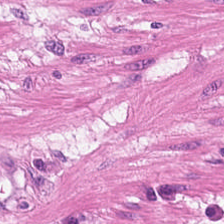Stain: hematoxylin and eosin.
Tissue: smooth-muscle tissue.
